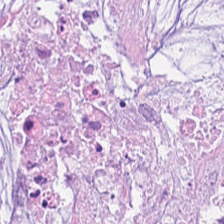H&E. Showing mucus.
